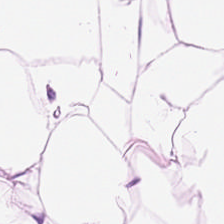Tissue class: adipose tissue.
